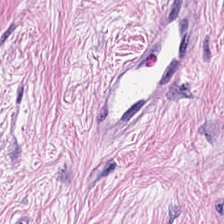H&E stain — Showing cancer-associated stroma.
